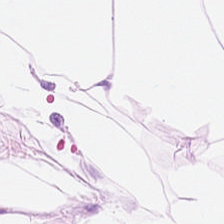Hematoxylin-and-eosin stained section.
Tissue class — adipocytes.
